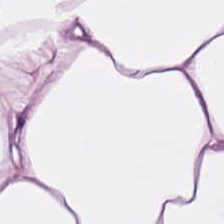H&E stain. FFPE tissue section. 20× equivalent magnification. Predominantly fat tissue.
